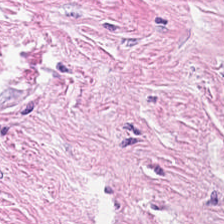Hematoxylin and eosin — Tissue class: tumor-associated stroma.
